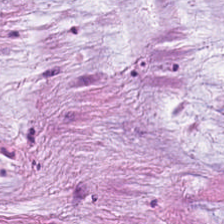0.5 µm/px · hematoxylin and eosin. Predominantly mucin.
